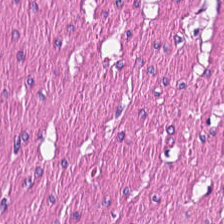Q: What is the predominant tissue type?
A: This is muscularis.
